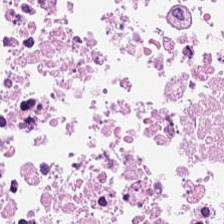Q: What tissue is shown?
A: This is debris.
